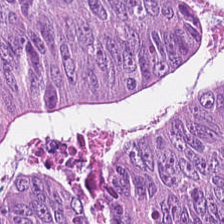H&E-stained tissue section — This field is malignant epithelium.
